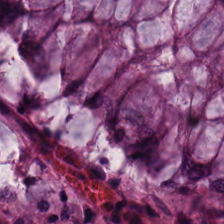Hematoxylin-and-eosin stained section — Showing benign colonic mucosa.
